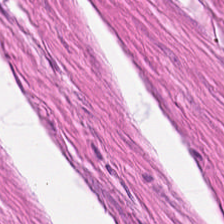H&E. FFPE.
Predominantly smooth muscle.
